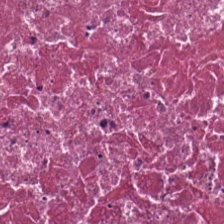H&E-stained tissue section. Predominantly cellular debris.
